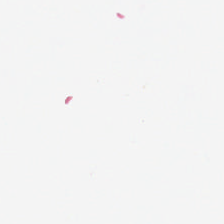Hematoxylin-and-eosin stained section.
Impression → background.
